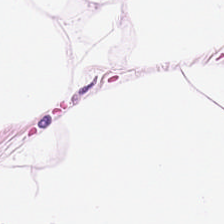H&E stain. Tissue: adipose tissue.
